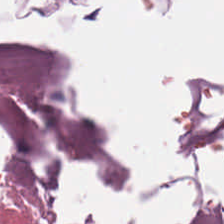Q: Classify this patch.
A: Adipocytes.
